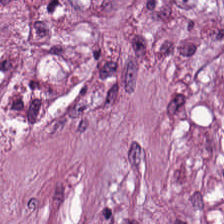Hematoxylin and eosin.
Histology → tumor stroma.
